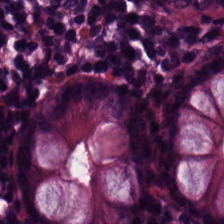Q: What is shown in this field?
A: It is benign colonic mucosa.
